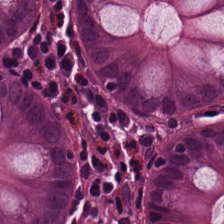Hematoxylin and eosin.
Finding — normal colon mucosa.
